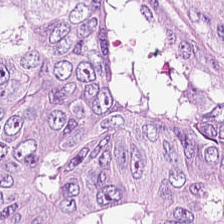Brightfield microscopy; H&E stain. Q: Identify the tissue.
A: The field shows colorectal adenocarcinoma epithelium.
